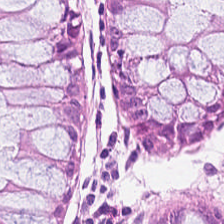Tissue type = benign colonic mucosa.
